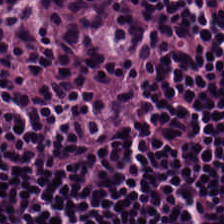H&E · 224×224 px tile · formalin-fixed paraffin-embedded section. The tissue is lymphocyte aggregate.
